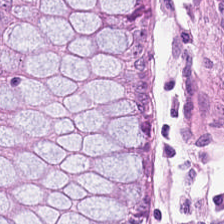0.5 µm/px. Hematoxylin and eosin. The tissue type is normal colonic mucosa.
